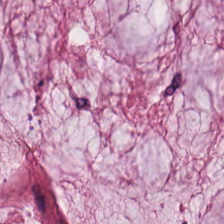H&E-stained tissue section; 224×224 px tile; formalin-fixed paraffin-embedded section. Tissue = mucus.
